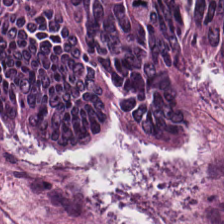Hematoxylin-and-eosin stained section. Predominantly tumor epithelium.
